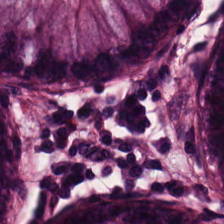H&E stain. WSI patch.
This field is normal colon mucosa.
